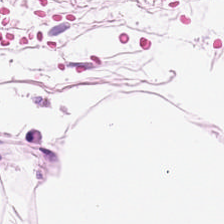The tissue type is adipocytes.
